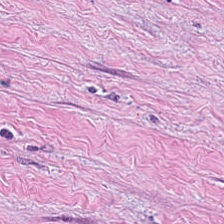224×224 px patch. H&E stain — This field is tumor-associated stroma.
